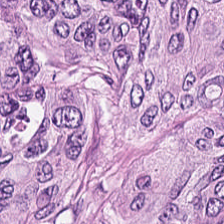H&E stain · 0.5 µm per pixel. Predominant tissue — malignant epithelium.
